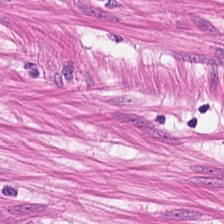The predominant tissue is muscularis.
